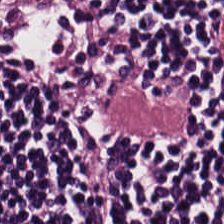H&E. The predominant tissue is lymphocytes.
